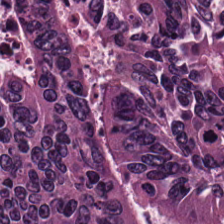H&E-stained tissue section; 0.5 microns per pixel; 224×224 pixel tile.
Tissue type: adenocarcinoma.
